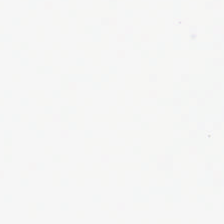Classification = background (no tissue).
